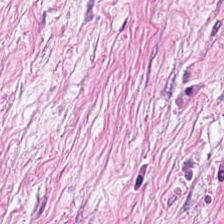H&E stain.
Predominant tissue: desmoplastic stroma.
